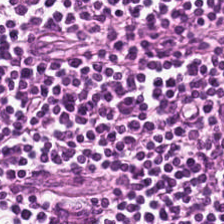H&E-stained tissue section; brightfield microscopy.
Showing lymphocytes.
